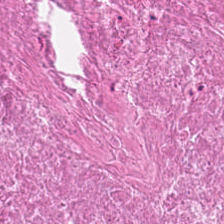Hematoxylin-and-eosin stained section — Showing debris.
